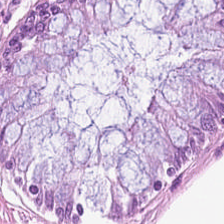Hematoxylin-and-eosin stained section. Whole-slide-image patch. Q: Classify this patch.
A: This is normal colon mucosa.
